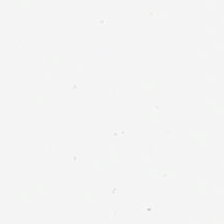H&E — This field is background (no tissue).
